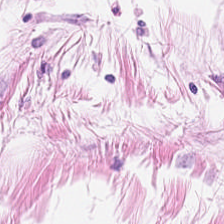H&E-stained tissue section — Predominantly adipose.
